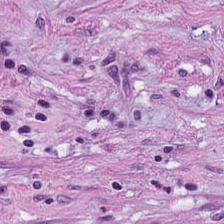Brightfield. Hematoxylin and eosin. 0.5 µm per pixel.
Showing cancer-associated stroma.
